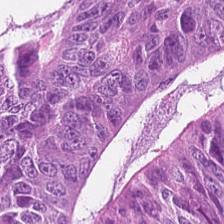20× equivalent magnification · H&E · whole-slide-image patch. Q: What is shown in this field?
A: Tumor epithelium.
